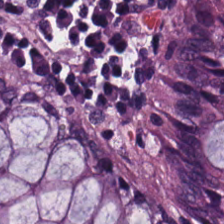{"tissue_type": "benign colonic mucosa"}
